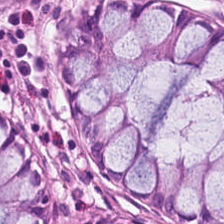224×224 px tile. H&E-stained tissue section — Tissue class = normal colonic mucosa.
